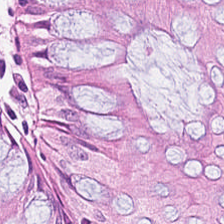Predominant tissue: non-neoplastic colon mucosa.
